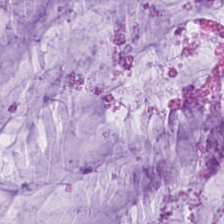Stain: H&E-stained tissue section.
Predominant tissue: mucin.
